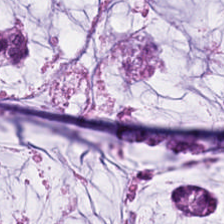Stain: hematoxylin-and-eosin stained section.
Tile size: 224×224 px patch.
Tissue class: extracellular mucin.
